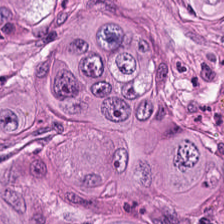Hematoxylin and eosin — Predominant tissue — adenocarcinoma.
